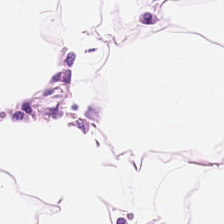H&E-stained tissue section — Q: What does this patch show?
A: This is fat tissue.
